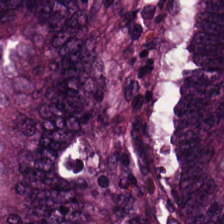H&E — This field is malignant epithelium.
